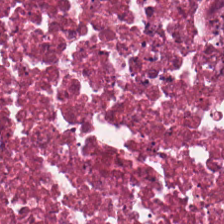Stain: H&E.
Preparation: FFPE.
Predominant tissue: necrotic debris.
